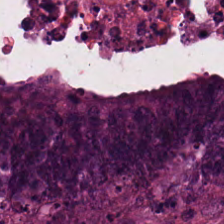Q: What tissue is shown?
A: This is malignant epithelium.
